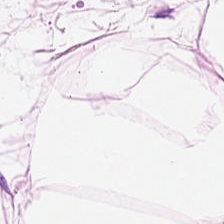FFPE; WSI patch; H&E stain.
Adipose tissue.
